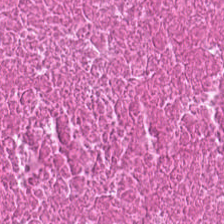Hematoxylin and eosin — Classification = debris.
